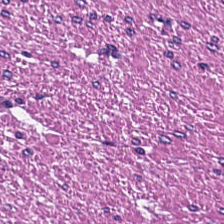Hematoxylin and eosin; 224×224 px patch. Q: What does this patch show?
A: The field shows smooth muscle.
